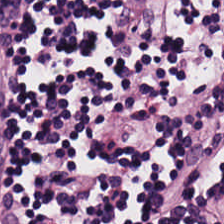Hematoxylin-and-eosin stained section.
Q: What does this patch show?
A: It is lymphocytes.
